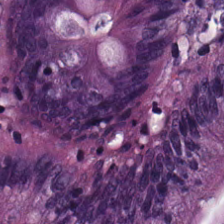0.5 µm/px · hematoxylin and eosin.
Predominant tissue: non-neoplastic colon mucosa.
